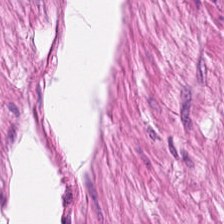Hematoxylin and eosin. Q: Identify the tissue.
A: The field shows muscularis.
